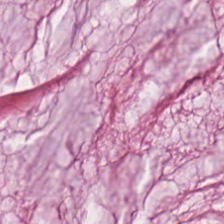Predominantly mucin.
